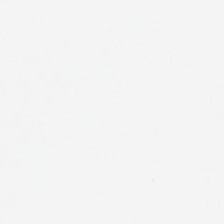H&E — This field is background (no tissue).
